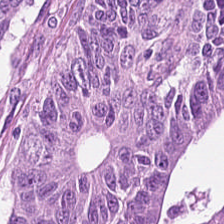Hematoxylin and eosin. 0.5 µm/px.
The predominant tissue is adenocarcinoma.
